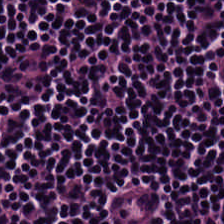H&E-stained tissue section; WSI patch. The tissue here is lymphocyte aggregate.
